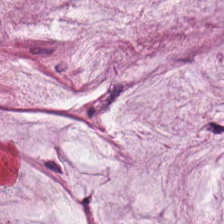H&E-stained tissue section. Q: What tissue type is shown here?
A: The field shows extracellular mucin.
